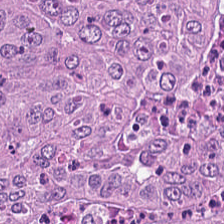H&E stain.
The tissue type is malignant epithelium.
